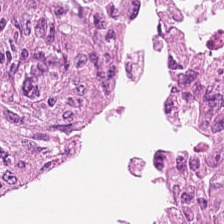0.5 µm/px. FFPE. Hematoxylin and eosin — Predominant tissue = adenocarcinoma.
